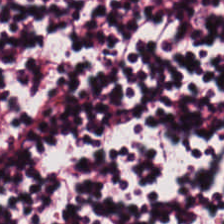20× equivalent magnification; hematoxylin and eosin; whole-slide-image patch — Showing lymphocyte aggregate.
